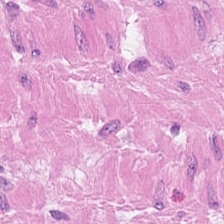Showing smooth-muscle tissue.
